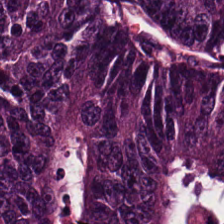Hematoxylin-and-eosin stained section. This patch shows adenocarcinoma.
